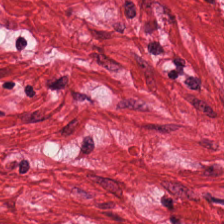Stain: H&E stain.
Resolution: 0.5 µm/px.
Classification: smooth muscle.
